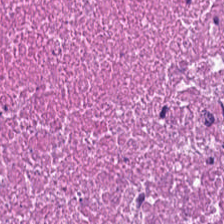Hematoxylin-and-eosin stained section.
Tissue: cellular debris.
